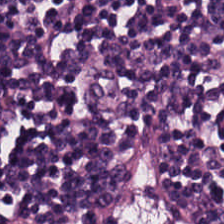H&E patch showing lymphocyte aggregate.
